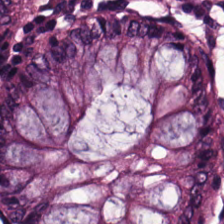{"tissue_type": "non-neoplastic colon mucosa"}
